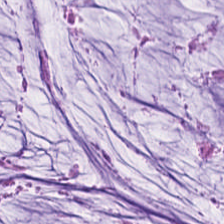Mucin.
